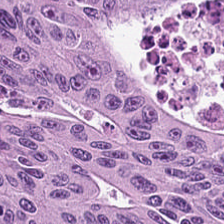H&E stain · 224×224 pixel tile — This patch shows adenocarcinoma.
